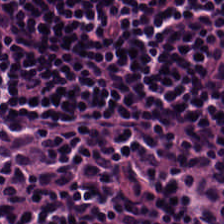Hematoxylin-and-eosin stained section · formalin-fixed paraffin-embedded section. Tissue = lymphocytes.
